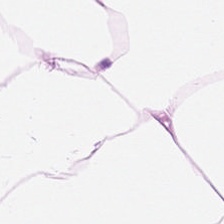H&E stain. Predominant tissue: adipose.
